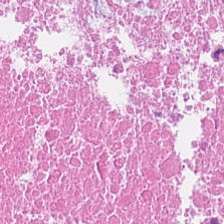This patch shows debris.
